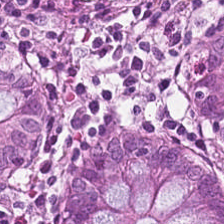H&E stain; 20× equivalent magnification — Impression — non-neoplastic colon mucosa.
